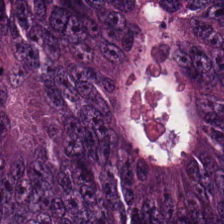H&E — The predominant tissue is colorectal adenocarcinoma epithelium.
